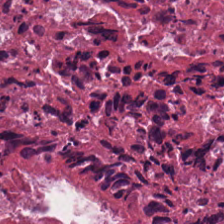Formalin-fixed paraffin-embedded section · hematoxylin-and-eosin stained section. Predominantly cellular debris.
